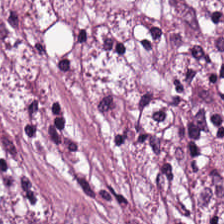Q: What tissue is shown?
A: This is tumor-associated stroma.
